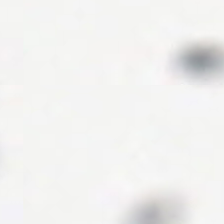H&E · brightfield — Background.
